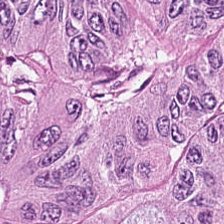Q: Classify this patch.
A: The field shows tumor epithelium.
